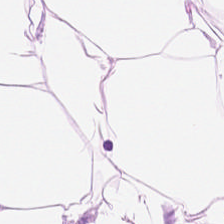Stain: H&E.
Predominant tissue: fat tissue.
